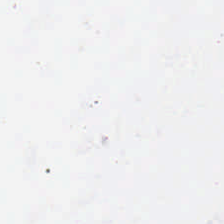H&E stain. Whole-slide-image patch. 20× equivalent magnification. {"content": "empty background"}
